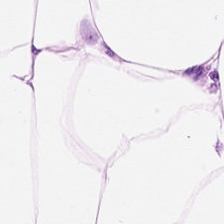Predominantly adipose.
